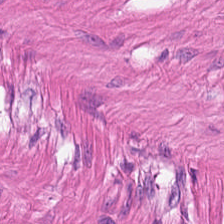H&E stain.
Q: Classify this patch.
A: It is smooth muscle.
